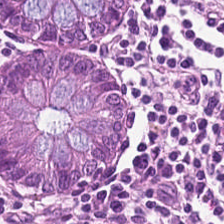H&E-stained tissue section. FFPE tissue section — Finding — non-neoplastic colon mucosa.
